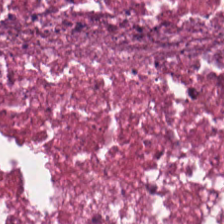Stain: hematoxylin-and-eosin stained section.
Resolution: 0.5 µm/px.
Tissue: debris.
